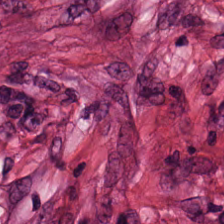Hematoxylin and eosin — Q: What is the predominant tissue type?
A: It is desmoplastic stroma.
